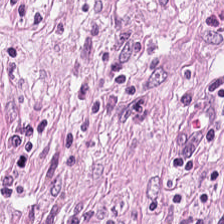H&E-stained tissue section. Tissue class — cancer-associated stroma.
